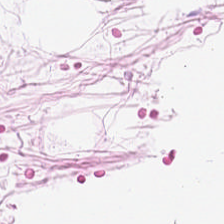H&E. Brightfield microscopy. {"tissue_type": "adipose"}
